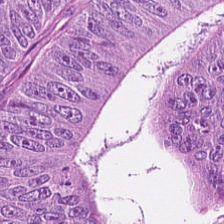H&E — Impression — colorectal adenocarcinoma.
